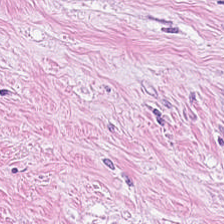Stain: H&E-stained tissue section.
Classification: desmoplastic stroma.
